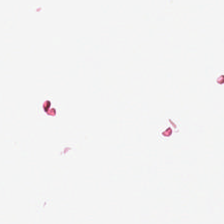H&E. Whole-slide-image patch.
The field content is no tissue.
